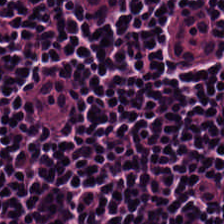0.5 µm per pixel. H&E stain.
Tissue type — lymphocytic infiltrate.
